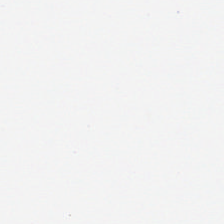H&E stain; WSI patch — Background — no tissue in this field.
